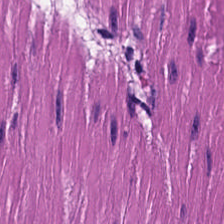Hematoxylin and eosin · FFPE tissue section — The predominant tissue is smooth muscle.
